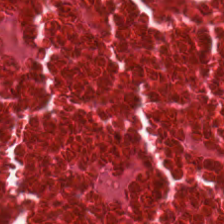Impression — debris.
